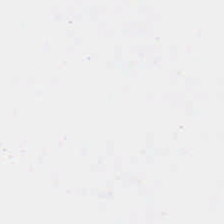FFPE tissue section · hematoxylin and eosin. Classification — empty background.
